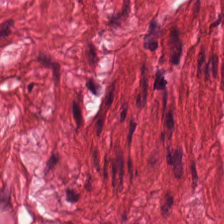Q: Identify the tissue.
A: It is smooth muscle.
